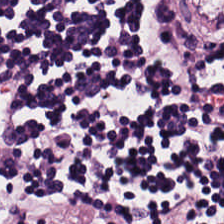H&E-stained section; the field shows lymphocyte aggregate.
